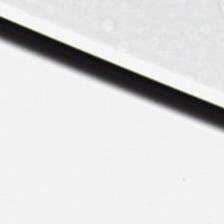H&E stain; 224×224 pixel tile.
No tissue present; background only.
